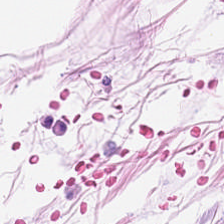Hematoxylin-and-eosin stained section — Q: What does this patch show?
A: Adipocytes.
